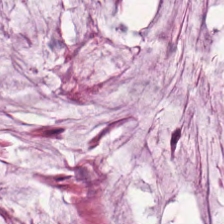Hematoxylin and eosin.
{"tissue_type": "mucus"}
